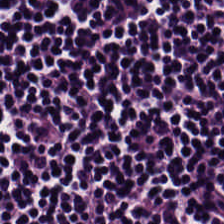H&E — Histology → lymphocytic infiltrate.
